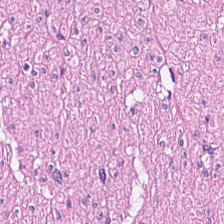H&E stain — The predominant tissue is smooth muscle.
